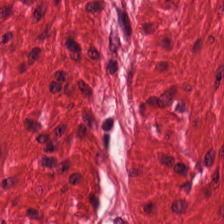Stain: H&E stain.
Tissue class: smooth-muscle tissue.
